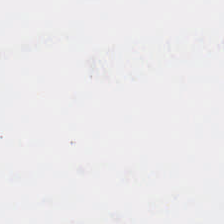0.5 µm per pixel · H&E-stained tissue section.
Content — background.
